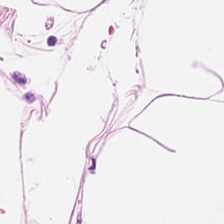Hematoxylin-and-eosin stained section — Tissue class: fat tissue.
